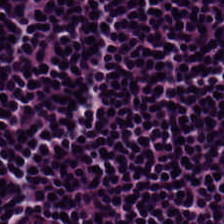Stain: hematoxylin and eosin.
Predominant tissue: lymphocytic infiltrate.
